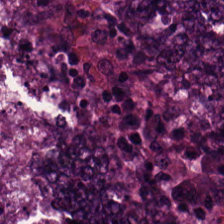H&E stain.
{"tissue_type": "tumor epithelium"}
